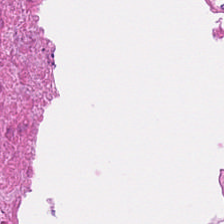Stain: H&E stain.
Predominant tissue: necrotic debris.
